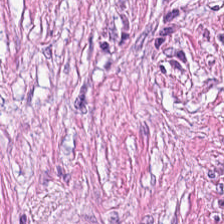Hematoxylin-and-eosin stained section.
Finding → tumor stroma.
